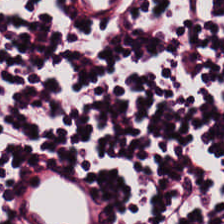Whole-slide-image patch. H&E stain — Q: What does this patch show?
A: It is lymphocytic infiltrate.
